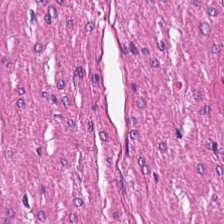Muscularis.
